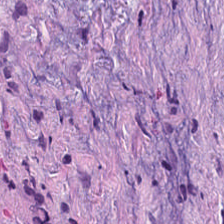H&E-stained tissue section.
This field is cancer-associated stroma.
